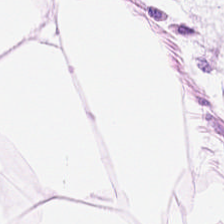H&E stain — This field is adipose.
